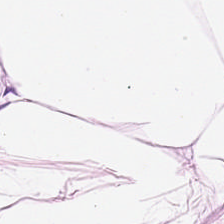Stain: hematoxylin and eosin.
Tissue: adipose.
